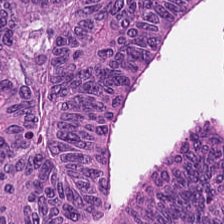This patch shows colorectal adenocarcinoma epithelium.
